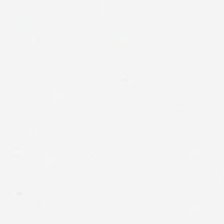Stain: H&E stain.
Classification: background.
